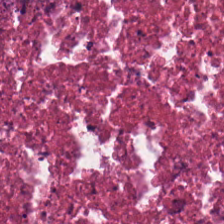H&E-stained section; the field shows debris.
